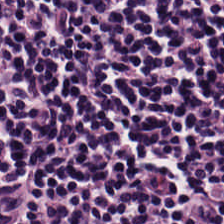224×224 px tile; hematoxylin-and-eosin stained section; brightfield microscopy. Predominantly lymphocytic infiltrate.
